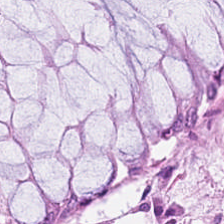Tissue — non-neoplastic colon mucosa.
